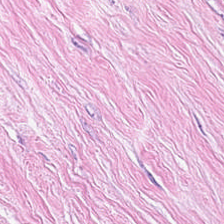Brightfield; H&E-stained tissue section; 0.5 microns per pixel. The tissue type is tumor-associated stroma.
